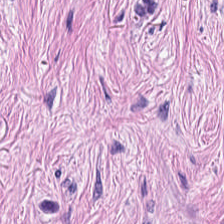Q: What tissue is shown?
A: The field shows tumor stroma.
